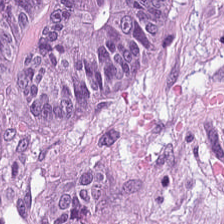Brightfield microscopy; FFPE; H&E-stained tissue section.
Q: Classify this patch.
A: This is adenocarcinoma.
